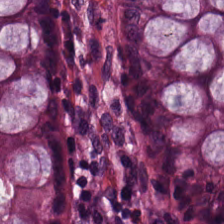0.5 µm per pixel · hematoxylin and eosin. Tissue — normal colon mucosa.
